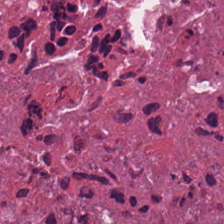H&E stain. 224×224 pixel tile — Necrotic debris.
